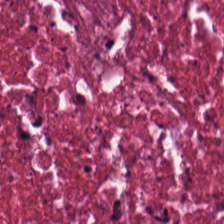Hematoxylin and eosin.
{"tissue_type": "cellular debris"}
